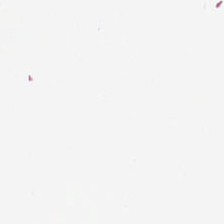H&E-stained tissue section · 224×224 pixel tile · 20× equivalent magnification — This field is background (no tissue).
